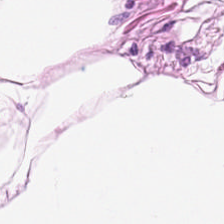H&E. 20× equivalent magnification — Q: Identify the tissue.
A: The field shows adipocytes.
